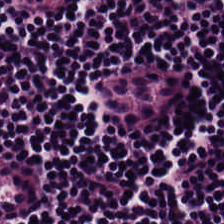224×224 px tile · H&E-stained tissue section.
Impression — lymphocytes.
